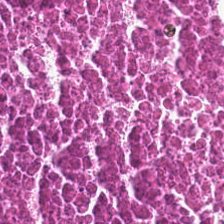Predominant tissue = cellular debris.
